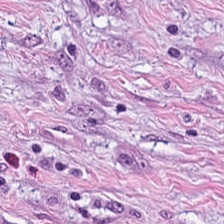H&E.
The tissue here is tumor stroma.
